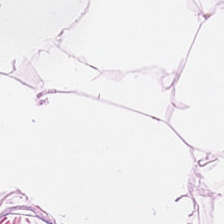Q: What is shown here?
A: It is adipose.
